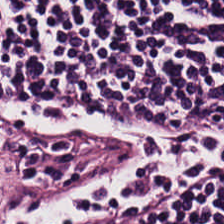H&E-stained tissue section — The tissue type is lymphocytic infiltrate.
